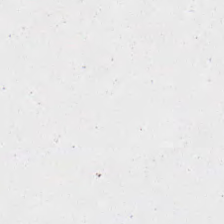Stain: hematoxylin-and-eosin stained section.
Resolution: 0.5 µm/px.
Classification: background (no tissue).
